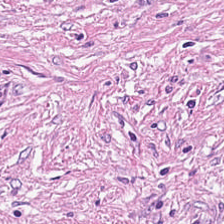Hematoxylin and eosin.
Classification = tumor stroma.
